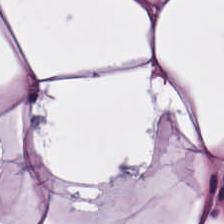The tissue is fat tissue.
